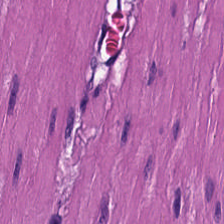This field is smooth-muscle tissue.
